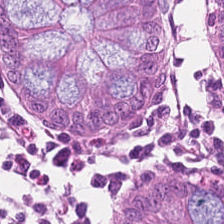H&E — The tissue here is normal colon mucosa.
